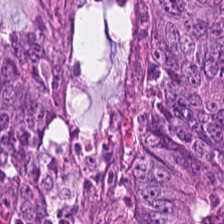H&E · brightfield — Colorectal adenocarcinoma.
